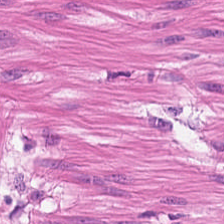FFPE. Hematoxylin and eosin.
The tissue here is muscularis.
